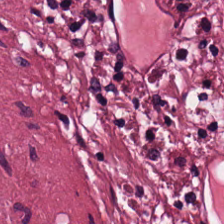FFPE tissue section · H&E stain.
Q: What is shown here?
A: Cancer-associated stroma.
